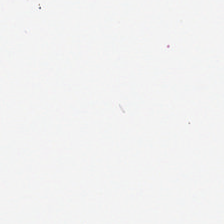WSI patch; H&E; 20× equivalent magnification — Classification — empty background.
